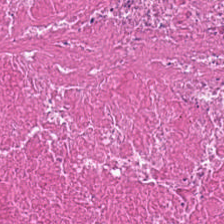H&E. Classification = cellular debris.
